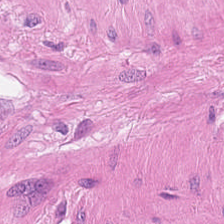Hematoxylin-and-eosin stained section.
Q: What does this patch show?
A: This is smooth muscle.
